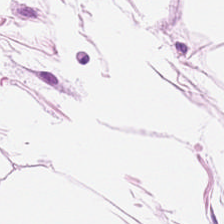Hematoxylin and eosin · FFPE.
Histology → adipose.
